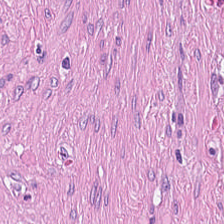H&E-stained tissue section · formalin-fixed paraffin-embedded section.
The classification is tumor-associated stroma.
